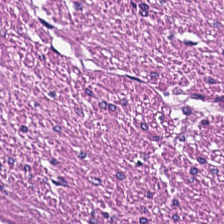H&E-stained tissue section · FFPE. Predominantly smooth muscle.
